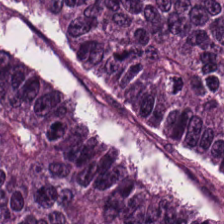The tissue here is colorectal adenocarcinoma epithelium.
